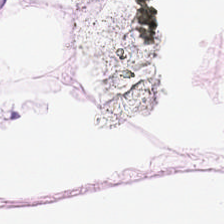H&E. Predominant tissue: adipocytes.
